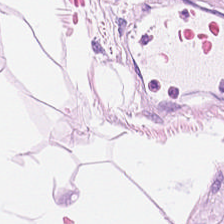FFPE tissue section; hematoxylin-and-eosin stained section; brightfield. Histology → adipose.
